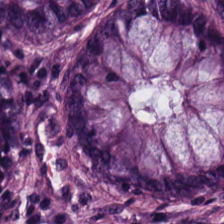H&E — Q: What does this patch show?
A: It is normal colonic mucosa.
